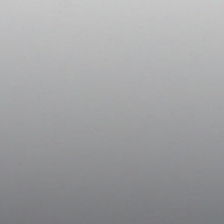Brightfield microscopy; 0.5 µm per pixel; hematoxylin-and-eosin stained section.
Q: Classify this patch.
A: This is no tissue.
